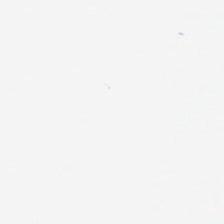Field content = no tissue.
